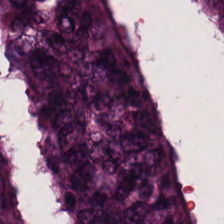The tissue class is colorectal adenocarcinoma.
